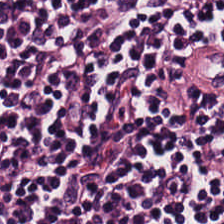Tissue type: lymphoid infiltrate.
